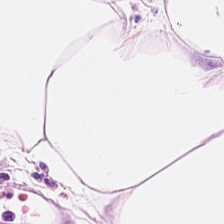Stain: H&E.
Acquisition: whole-slide-image patch.
Tissue type: adipocytes.
